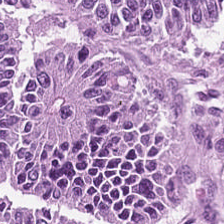H&E; 0.5 microns per pixel; FFPE. Impression → malignant epithelium.
